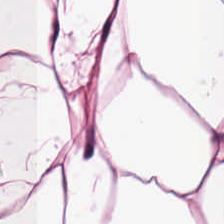224×224 px patch · 20× equivalent magnification · hematoxylin-and-eosin stained section — Impression → adipocytes.
